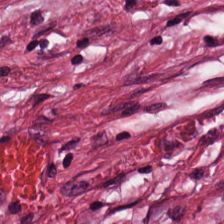224×224 px patch · hematoxylin-and-eosin stained section. {"tissue_type": "tumor stroma"}
